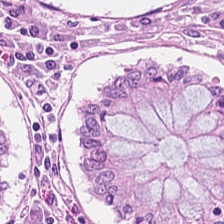Hematoxylin-and-eosin stained section — The predominant tissue is normal colon mucosa.
